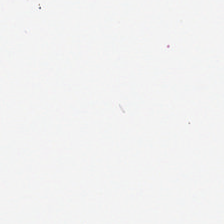H&E — Q: What does this patch show?
A: It is background (no tissue).
